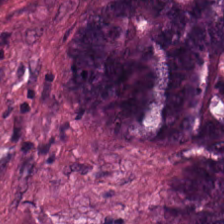H&E — malignant epithelium.
